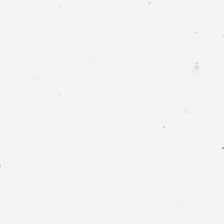H&E-stained tissue section · 0.5 µm/px · formalin-fixed paraffin-embedded section. This patch shows empty background.
